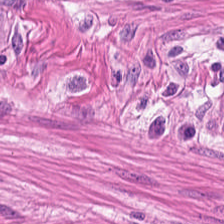Hematoxylin and eosin · brightfield. Classification — smooth muscle.
